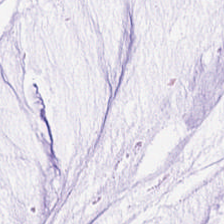H&E; FFPE tissue section.
{"tissue_type": "mucus"}
